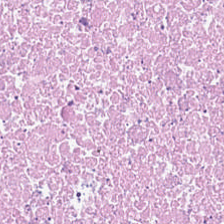H&E-stained tissue section — This field is debris.
